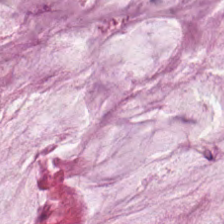Q: What is the predominant tissue type?
A: The field shows extracellular mucin.
